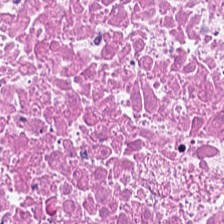224×224 px patch · hematoxylin-and-eosin stained section.
Q: What is shown in this field?
A: The field shows necrotic debris.
